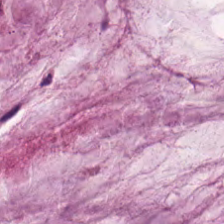Hematoxylin-and-eosin stained section — This field is mucus.
